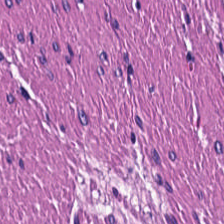Whole-slide-image patch. 0.5 µm per pixel. H&E — Showing smooth-muscle tissue.
